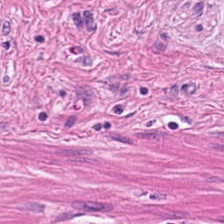Stain: H&E stain.
Classification: muscularis.
